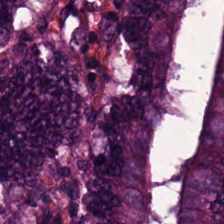H&E stain. This patch shows colorectal adenocarcinoma.
